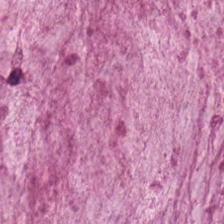Hematoxylin-and-eosin stained section — {"tissue_type": "mucus"}
